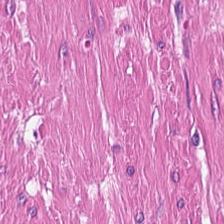H&E. The predominant tissue is smooth muscle.
